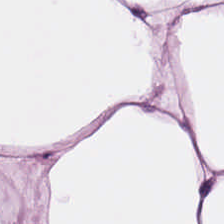Hematoxylin-and-eosin stained section — Tissue = adipocytes.
